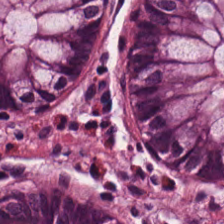Hematoxylin and eosin. The tissue here is benign colonic mucosa.
